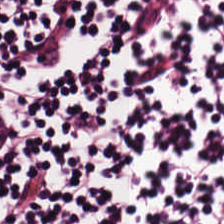The tissue here is lymphocyte aggregate.
